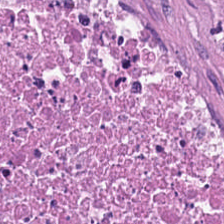Q: Identify the tissue.
A: It is cellular debris.
